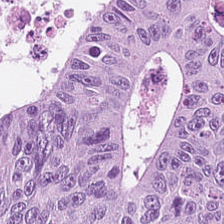Hematoxylin-and-eosin stained section. Predominantly colorectal adenocarcinoma.
